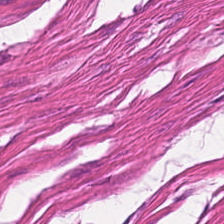Brightfield · H&E-stained tissue section. Classification = muscularis.
